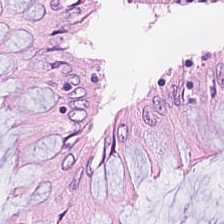H&E stain — Predominant tissue: benign colonic mucosa.
